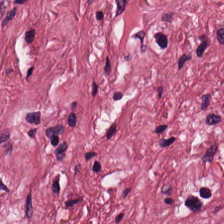Hematoxylin-and-eosin stained section. FFPE tissue section. 224×224 px patch — Histology — desmoplastic stroma.
